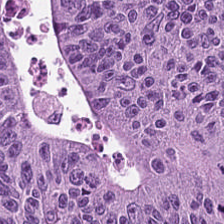The tissue here is colorectal adenocarcinoma epithelium.
